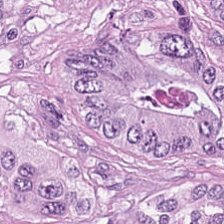H&E stain. This patch shows malignant epithelium.
